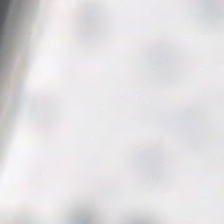Stain: H&E.
Acquisition: brightfield microscopy.
Resolution: 0.5 µm/px.
Field content: no tissue.
